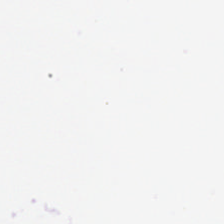H&E — Content — background (no tissue).
